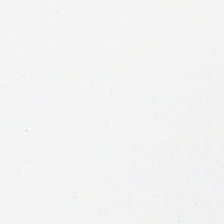Stain: H&E.
Tile size: 224×224 pixel tile.
Field content: no tissue.
